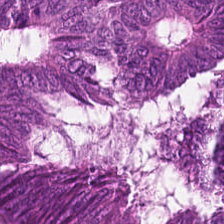Stain: hematoxylin and eosin.
Tissue type: tumor epithelium.
